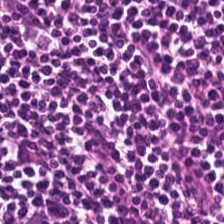H&E stain — Predominantly lymphoid infiltrate.
